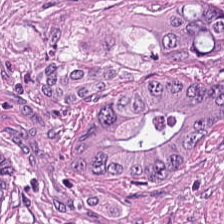H&E stain. The tissue is colorectal adenocarcinoma epithelium.
